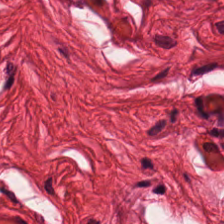H&E-stained tissue section. Predominantly smooth muscle.
